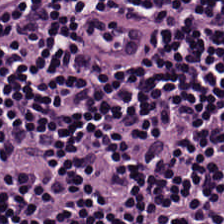The predominant tissue is lymphocyte aggregate.
